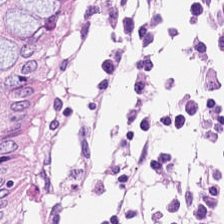Stain: hematoxylin-and-eosin stained section.
Tile size: 224×224 px tile.
Classification: normal colon mucosa.
